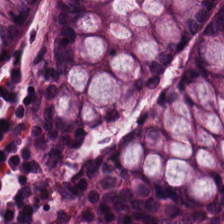Hematoxylin-and-eosin stained section — {"tissue_type": "normal colon mucosa"}
